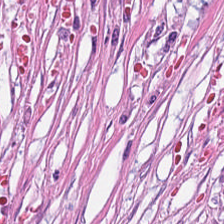H&E · brightfield microscopy · 0.5 µm/px.
Showing tumor-associated stroma.
